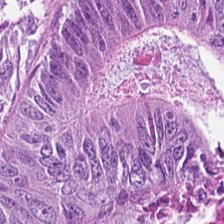H&E-stained section; the field shows adenocarcinoma.
